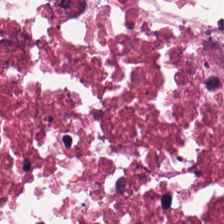H&E stain.
{"tissue_type": "necrotic debris"}
